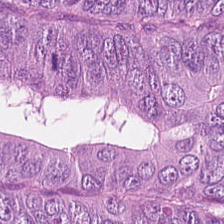Brightfield microscopy · H&E.
Predominant tissue: adenocarcinoma.
